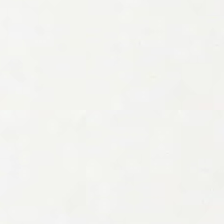This patch shows background.
